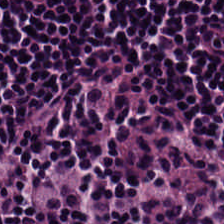WSI patch · H&E.
{"tissue_type": "lymphoid infiltrate"}
